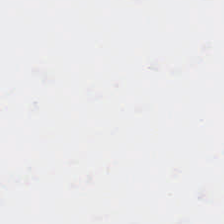H&E stain · brightfield — Q: Classify this patch.
A: Empty background.
